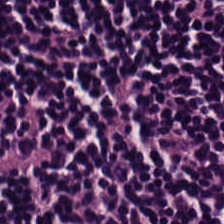H&E patch showing lymphocyte aggregate.
